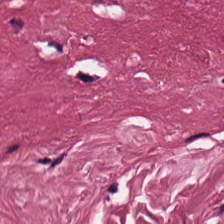H&E — Tissue type: desmoplastic stroma.
